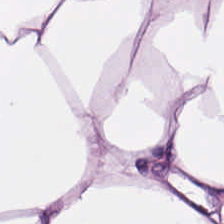{"tissue_type": "fat tissue"}
